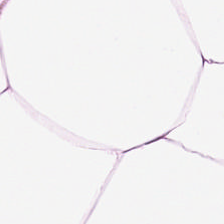H&E-stained tissue section. Histology — adipocytes.
